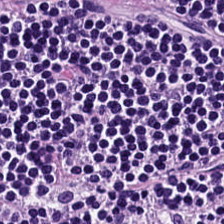WSI patch. Hematoxylin-and-eosin stained section.
The tissue here is lymphoid infiltrate.
